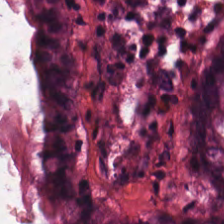Q: What type of tissue is this?
A: It is normal colon mucosa.
